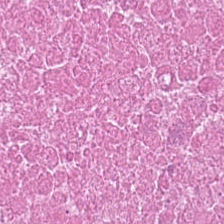Whole-slide-image patch · H&E stain · 20× equivalent magnification.
Cellular debris.
